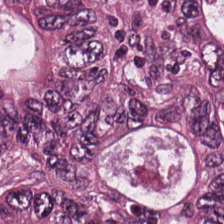Hematoxylin-and-eosin stained section.
This patch shows adenocarcinoma.
